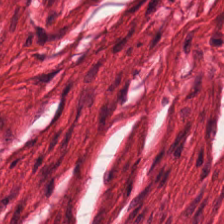Finding — smooth-muscle tissue.
